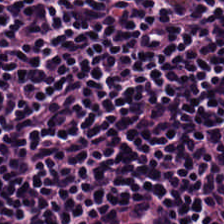224×224 px tile; hematoxylin-and-eosin stained section — The tissue type is lymphocytes.
